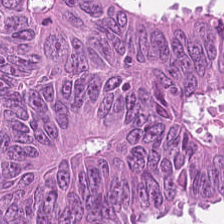0.5 µm per pixel; hematoxylin-and-eosin stained section; FFPE — The predominant tissue is colorectal adenocarcinoma.
